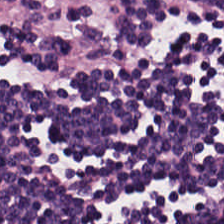H&E-stained tissue section.
The tissue here is lymphocytes.
